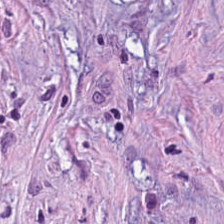The classification is desmoplastic stroma.
